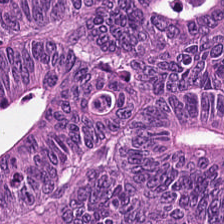H&E-stained tissue section. FFPE tissue section.
The tissue class is colorectal adenocarcinoma epithelium.
